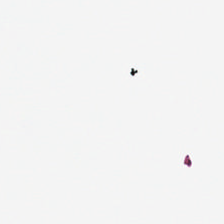This field is background (no tissue).
